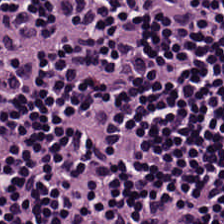Hematoxylin and eosin.
The predominant tissue is lymphocytic infiltrate.
